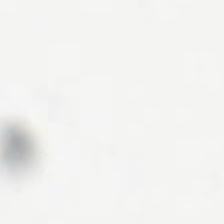Empty field — background (no tissue).
